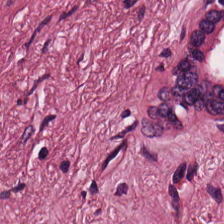Stain: H&E.
Acquisition: brightfield microscopy.
Tissue class: tumor stroma.
